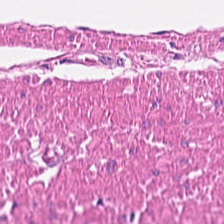H&E.
The tissue here is muscularis.
